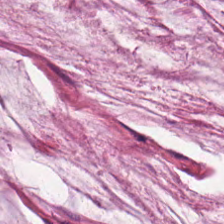Brightfield · hematoxylin and eosin.
Showing mucin.
